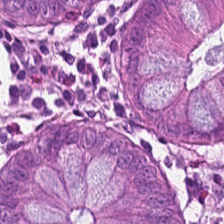Tissue: normal colon mucosa.
